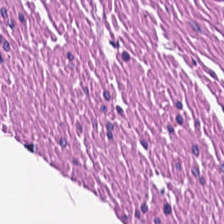Stain: H&E.
Tissue class: smooth-muscle tissue.
